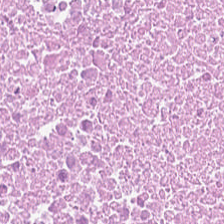H&E-stained tissue section — Q: What is shown in this field?
A: Necrotic debris.
